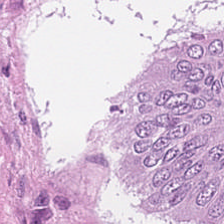H&E-stained tissue section. FFPE tissue section — Q: What is shown here?
A: This is colorectal adenocarcinoma epithelium.
